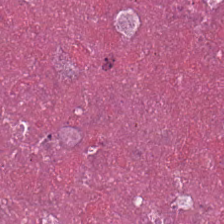H&E-stained tissue section.
The predominant tissue is necrotic debris.
